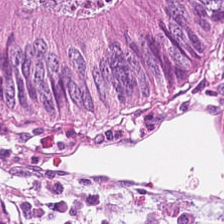H&E-stained tissue section — Tissue type: colorectal adenocarcinoma epithelium.
